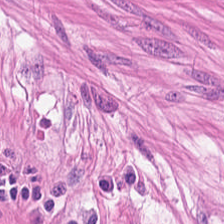Formalin-fixed paraffin-embedded section. Hematoxylin and eosin. This field is smooth-muscle tissue.
